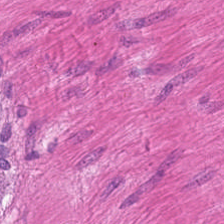H&E-stained tissue section · 0.5 µm per pixel. {"tissue_type": "muscularis"}
